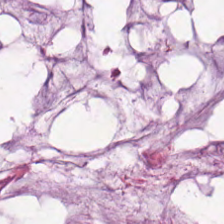Classification: mucus.
